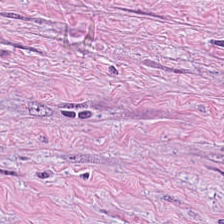Hematoxylin and eosin. FFPE.
Tissue class: desmoplastic stroma.
